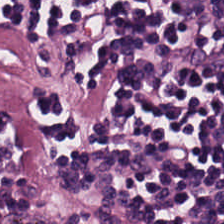H&E-stained tissue section.
Q: What type of tissue is this?
A: The field shows lymphoid infiltrate.
